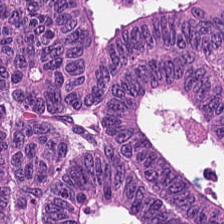H&E stain; brightfield microscopy. Predominant tissue — colorectal adenocarcinoma.
